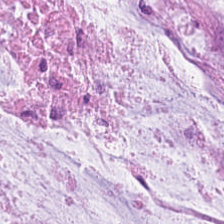Hematoxylin-and-eosin stained section.
The tissue here is mucin.
